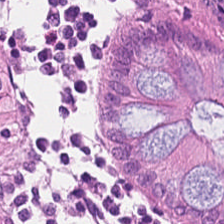H&E-stained tissue section. 224×224 px patch. Tissue type: normal colon mucosa.
